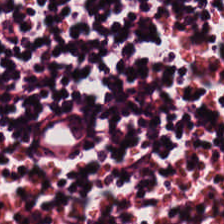224×224 pixel tile. FFPE tissue section. Hematoxylin-and-eosin stained section — Histology → lymphoid infiltrate.
